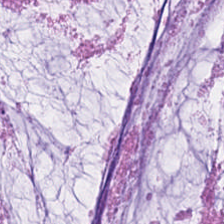The classification is mucin.
